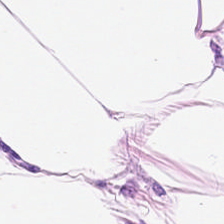Stain: hematoxylin-and-eosin stained section.
Tissue type: fat tissue.
